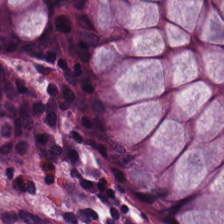H&E-stained tissue section. This field is benign colonic mucosa.
